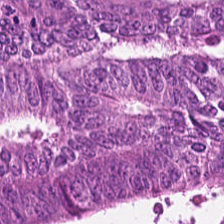H&E patch showing colorectal adenocarcinoma.
